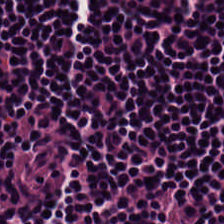224×224 px tile · H&E stain — Predominant tissue — lymphocytes.
